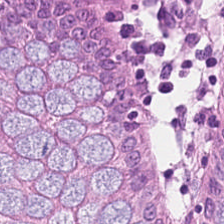H&E-stained tissue section · whole-slide-image patch.
The predominant tissue is normal colonic mucosa.
